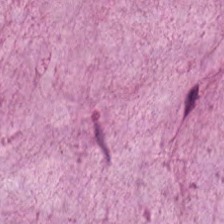20× equivalent magnification · hematoxylin and eosin. Mucus.
